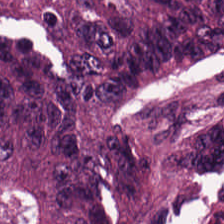H&E. 224×224 px patch. Predominant tissue = tumor epithelium.
